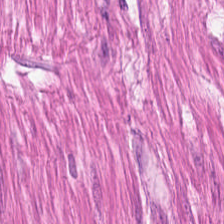Stain: H&E stain.
Tissue type: smooth muscle.
